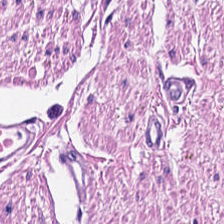H&E stain — Finding — smooth-muscle tissue.
